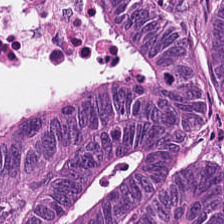FFPE. Hematoxylin-and-eosin stained section. The tissue here is adenocarcinoma.
